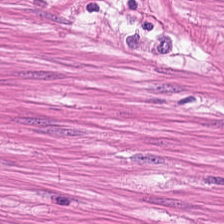0.5 microns per pixel; hematoxylin and eosin; formalin-fixed paraffin-embedded section. Tissue type: smooth muscle.
